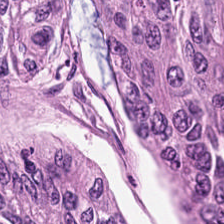H&E stain. 224×224 px tile. The classification is colorectal adenocarcinoma epithelium.
